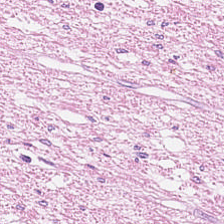224×224 pixel tile. 0.5 µm/px. H&E stain.
This patch shows smooth-muscle tissue.
